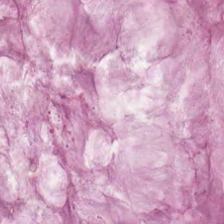H&E stain; 224×224 px tile — Mucin.
